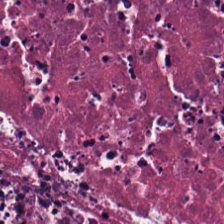Histology → debris.
